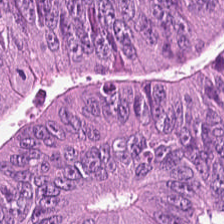Hematoxylin-and-eosin stained section — This patch shows tumor epithelium.
